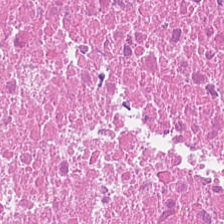Hematoxylin-and-eosin stained section.
Tissue = necrotic debris.
